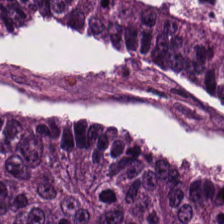Stain: hematoxylin-and-eosin stained section.
Acquisition: WSI patch.
Tile size: 224×224 px patch.
Tissue: colorectal adenocarcinoma epithelium.
